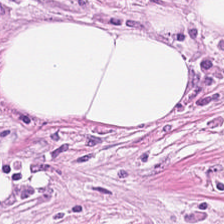Tumor stroma.
